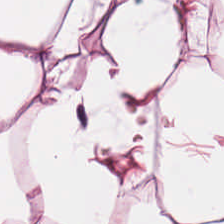H&E stain; WSI patch; 224×224 px tile. The tissue type is adipose.
